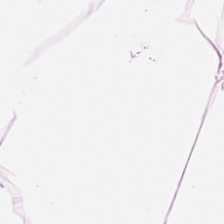Stain: H&E stain.
Acquisition: whole-slide-image patch.
Predominant tissue: adipocytes.
